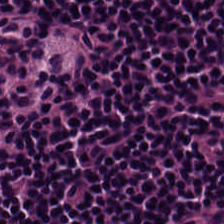Stain: H&E-stained tissue section.
Tissue: lymphocytic infiltrate.
